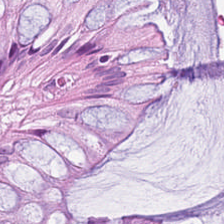H&E stain.
Classification = benign colonic mucosa.
